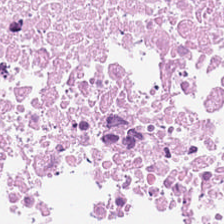H&E-stained tissue section — Necrotic debris.
